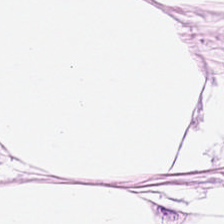Stain: H&E.
Preparation: formalin-fixed paraffin-embedded section.
Predominant tissue: adipose.
